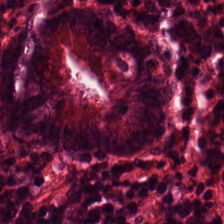Hematoxylin and eosin · 224×224 pixel tile. Q: Identify the tissue.
A: This is normal colonic mucosa.
